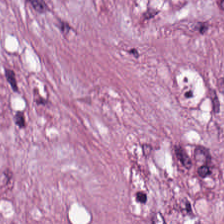The predominant tissue is desmoplastic stroma.
